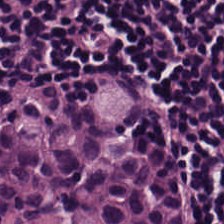Predominantly lymphoid infiltrate.
